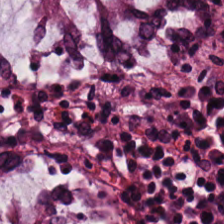Whole-slide-image patch; H&E — Q: What is shown here?
A: Normal colon mucosa.
